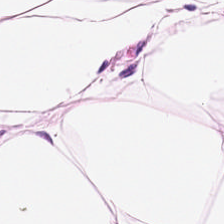H&E stain.
The classification is fat tissue.
